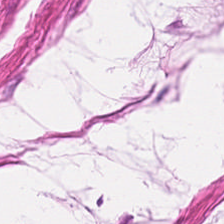Hematoxylin-and-eosin stained section — The predominant tissue is muscularis.
